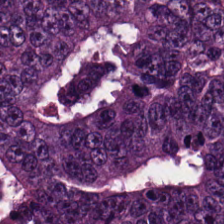0.5 microns per pixel. Hematoxylin and eosin. FFPE tissue section.
Q: Identify the tissue.
A: Tumor epithelium.
